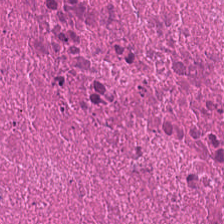224×224 px patch. Hematoxylin and eosin. Q: What is shown in this field?
A: It is cellular debris.
